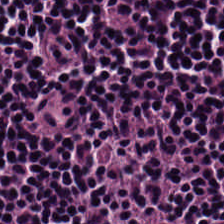H&E.
Q: What type of tissue is this?
A: Lymphocytic infiltrate.
